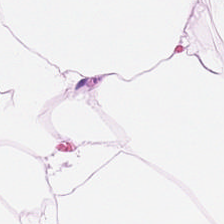Hematoxylin and eosin.
Predominantly adipose tissue.
